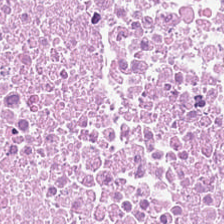Hematoxylin-and-eosin stained section; whole-slide-image patch; 0.5 µm/px — Classification = necrotic debris.
